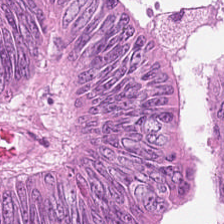H&E stain. The tissue type is malignant epithelium.
